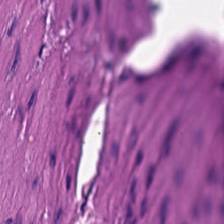Hematoxylin and eosin — Q: What tissue type is shown here?
A: The field shows muscularis.
